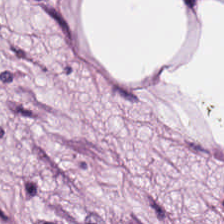H&E-stained tissue section · brightfield · FFPE — This patch shows adipose tissue.
